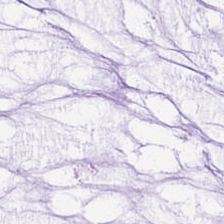Hematoxylin and eosin · whole-slide-image patch · 224×224 px patch.
This patch shows extracellular mucin.
